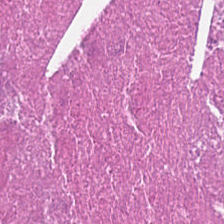Hematoxylin-and-eosin stained section. 224×224 px patch. Whole-slide-image patch. The classification is necrotic debris.
